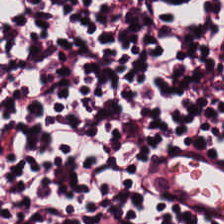WSI patch; 0.5 µm/px; hematoxylin and eosin.
Histology — lymphocytes.
